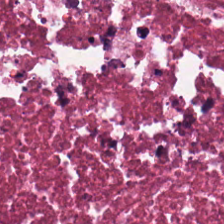224×224 pixel tile · hematoxylin and eosin. This field is necrotic debris.
